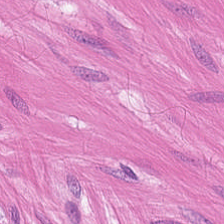Tissue class: smooth-muscle tissue.
